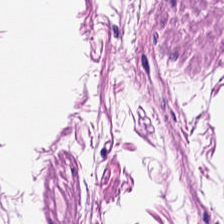This field is smooth muscle.
